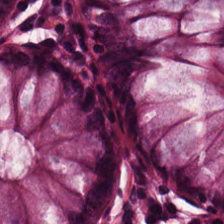H&E-stained tissue section showing non-neoplastic colon mucosa.
